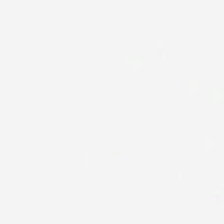Whole-slide-image patch · H&E · formalin-fixed paraffin-embedded section. Impression — background (no tissue).
